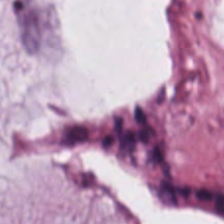H&E-stained tissue section. Classification — extracellular mucin.
